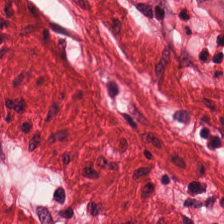Hematoxylin-and-eosin stained section — Smooth-muscle tissue.
